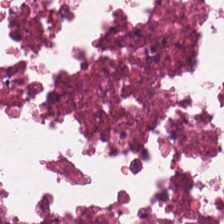Q: What does this patch show?
A: This is debris.
